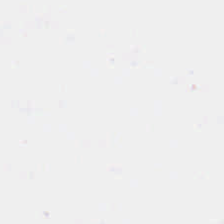Hematoxylin and eosin. Field content: background (no tissue).
